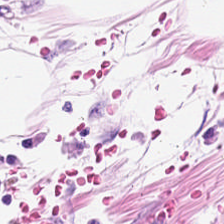Hematoxylin and eosin — Q: Classify this patch.
A: This is fat tissue.
